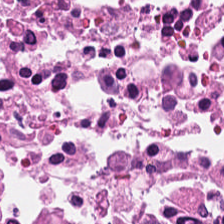Hematoxylin and eosin. Histology — cellular debris.
